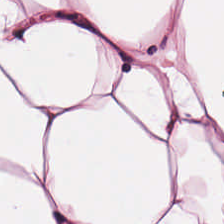H&E — Showing adipose tissue.
